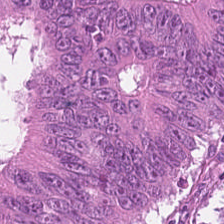Hematoxylin-and-eosin stained section.
Showing colorectal adenocarcinoma.
